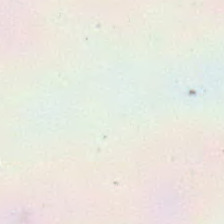H&E stain; 224×224 pixel tile. Q: What is shown here?
A: The field shows no tissue.
